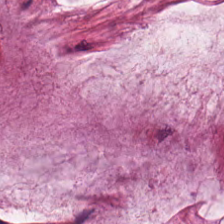Formalin-fixed paraffin-embedded section; H&E stain; 224×224 pixel tile — This patch shows mucus.
